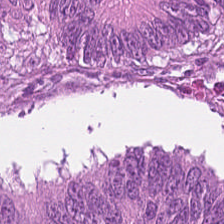Stain: hematoxylin-and-eosin stained section.
Classification: colorectal adenocarcinoma.
